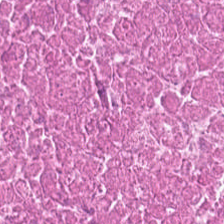H&E. WSI patch.
Necrotic debris.
